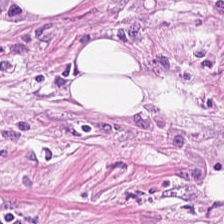Stain: H&E stain.
Tissue type: cancer-associated stroma.
